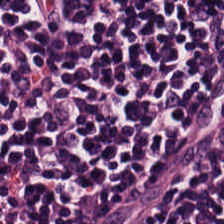Q: What does this patch show?
A: Lymphocytic infiltrate.
